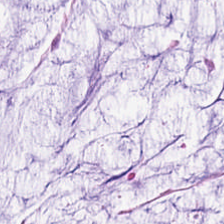H&E-stained tissue section.
Mucus.
